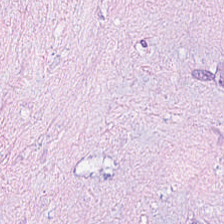Hematoxylin-and-eosin stained section — Finding → desmoplastic stroma.
